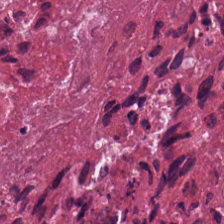FFPE. H&E-stained tissue section. Tissue type — necrotic debris.
